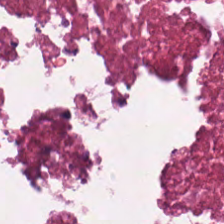H&E stain. Q: What tissue is shown?
A: It is debris.
